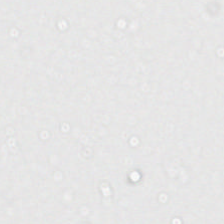Hematoxylin-and-eosin stained section — This field is background (no tissue).
